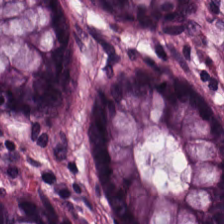H&E.
Predominantly normal colon mucosa.
